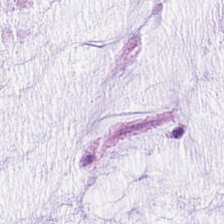Brightfield microscopy · hematoxylin-and-eosin stained section · FFPE tissue section.
Histology — extracellular mucin.
